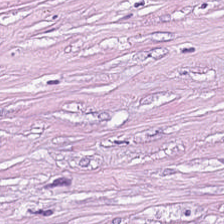H&E-stained tissue section; FFPE. The classification is tumor stroma.
